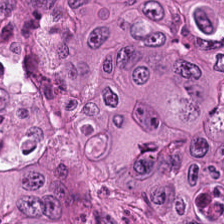H&E stain. FFPE — Tissue type: malignant epithelium.
